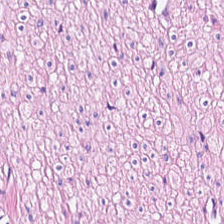Hematoxylin-and-eosin stained section. This field is smooth muscle.
